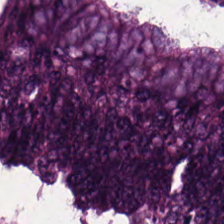H&E — This patch shows tumor epithelium.
